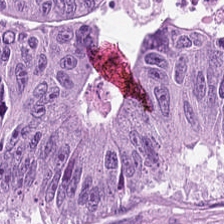H&E stain.
Q: What is shown here?
A: This is colorectal adenocarcinoma epithelium.
